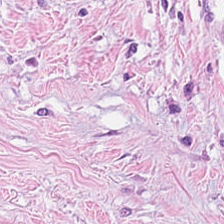H&E — Predominantly cancer-associated stroma.
